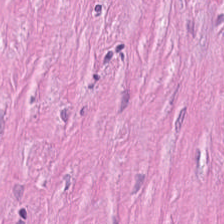Q: What does this patch show?
A: This is desmoplastic stroma.
